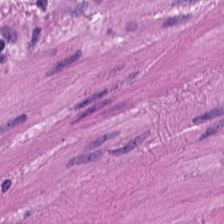Q: Identify the tissue.
A: This is smooth muscle.
